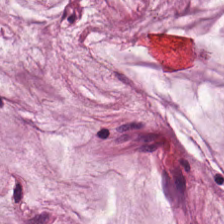H&E stain. 0.5 microns per pixel.
Showing mucus.
